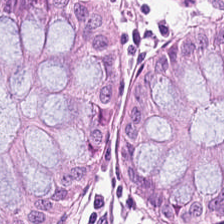Q: What type of tissue is this?
A: Non-neoplastic colon mucosa.
